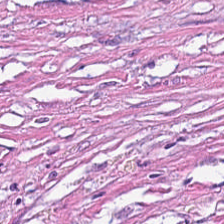20× equivalent magnification · H&E stain — Tissue — tumor stroma.
